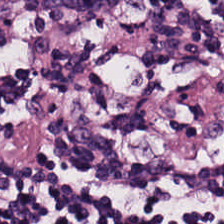H&E-stained tissue section — {"tissue_type": "lymphocyte aggregate"}
